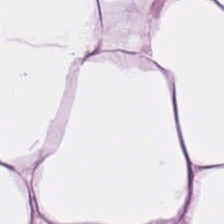Hematoxylin-and-eosin section: adipose tissue.
